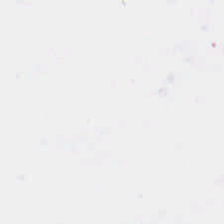Stain: hematoxylin-and-eosin stained section.
Content: empty background.
